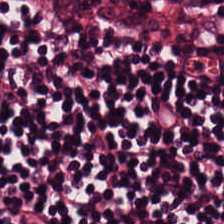H&E-stained tissue section.
Showing lymphoid infiltrate.
